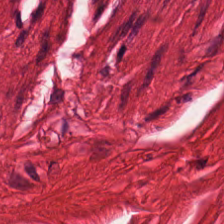H&E stain — {"tissue_type": "smooth muscle"}
